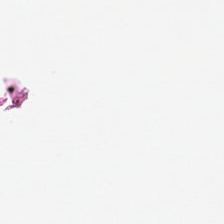Hematoxylin-and-eosin stained section · 0.5 microns per pixel — Empty field — background (no tissue).
